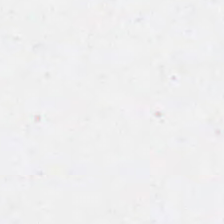H&E stain. {"content": "empty background"}
